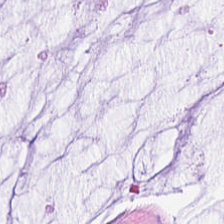H&E — Extracellular mucin.
